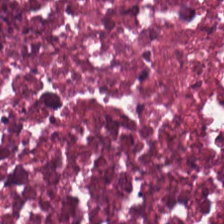224×224 px patch · 20× equivalent magnification · H&E-stained tissue section. Predominant tissue: cellular debris.
